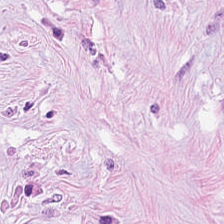Stain: hematoxylin-and-eosin stained section.
Tile size: 224×224 pixel tile.
Preparation: formalin-fixed paraffin-embedded section.
Tissue type: desmoplastic stroma.
